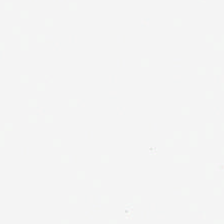H&E; FFPE tissue section; 20× equivalent magnification.
Q: Classify this patch.
A: This is background.
